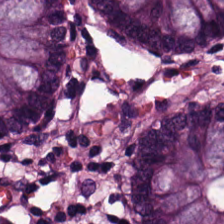Stain: hematoxylin and eosin.
Predominant tissue: benign colonic mucosa.
